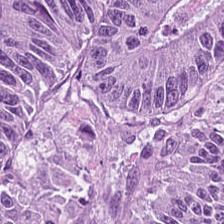Hematoxylin and eosin. Impression → tumor epithelium.
